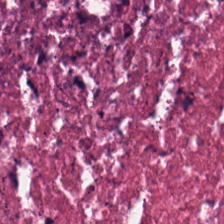224×224 px patch. Hematoxylin and eosin. The tissue is cellular debris.
